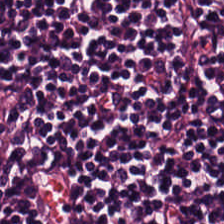Histology → lymphocytes.
